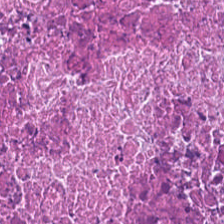{"tissue_type": "cellular debris"}
